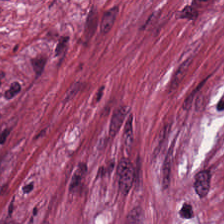Hematoxylin-and-eosin stained section — The tissue is cancer-associated stroma.
